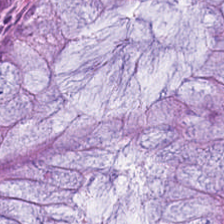H&E. This field is benign colonic mucosa.
